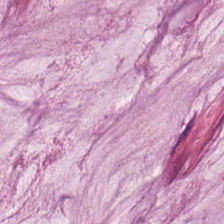{"tissue_type": "extracellular mucin"}
